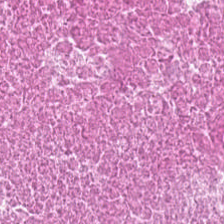224×224 px patch; hematoxylin-and-eosin stained section. Showing necrotic debris.
